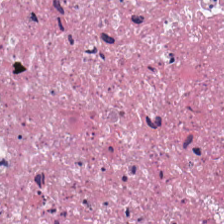Q: What is the predominant tissue type?
A: Necrotic debris.
